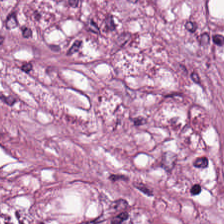Whole-slide-image patch · formalin-fixed paraffin-embedded section · hematoxylin-and-eosin stained section.
This field is desmoplastic stroma.
